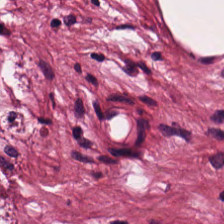H&E-stained tissue section. Impression → desmoplastic stroma.
